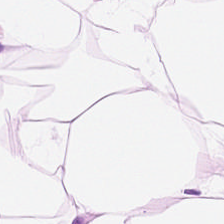224×224 pixel tile. Hematoxylin-and-eosin stained section — Predominantly fat tissue.
